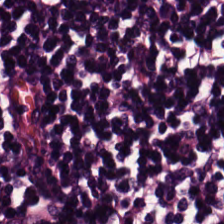H&E stain — Lymphoid infiltrate.
